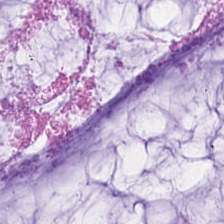Hematoxylin and eosin. {"tissue_type": "mucus"}
